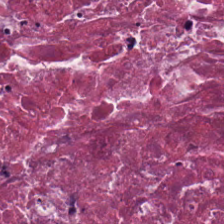Hematoxylin-and-eosin stained section. Q: Classify this patch.
A: This is necrotic debris.
